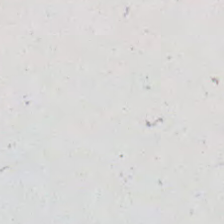224×224 pixel tile; hematoxylin and eosin — Field content: empty background.
